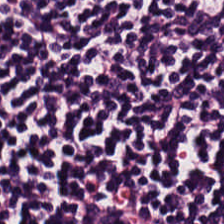Hematoxylin-and-eosin stained section. 0.5 µm per pixel.
Impression → lymphocytic infiltrate.
